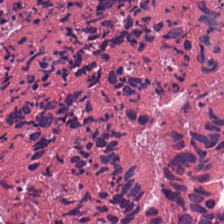The tissue class is cellular debris.
